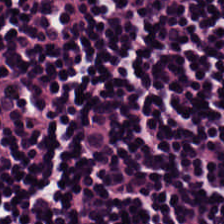H&E — lymphocyte aggregate.
